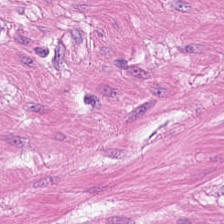H&E — muscularis.
